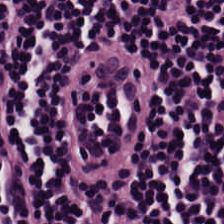H&E. 0.5 µm/px — The predominant tissue is lymphocytic infiltrate.
